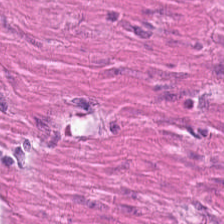Whole-slide-image patch. Hematoxylin-and-eosin stained section.
The predominant tissue is muscularis.
